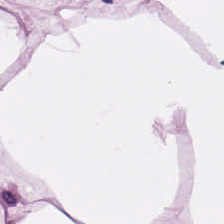H&E · 224×224 pixel tile. The tissue class is adipose.
